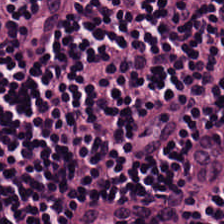20× equivalent magnification · H&E-stained tissue section.
Tissue class: lymphocyte aggregate.
